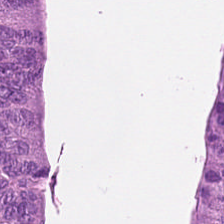224×224 px tile. Hematoxylin and eosin. Finding → colorectal adenocarcinoma epithelium.
